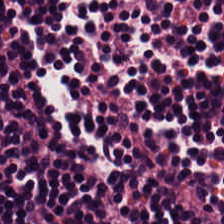Whole-slide-image patch · H&E-stained tissue section. {"tissue_type": "lymphoid infiltrate"}
